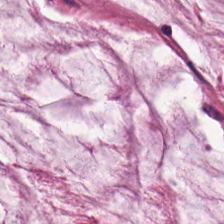Brightfield microscopy; hematoxylin-and-eosin stained section. Predominant tissue = extracellular mucin.
